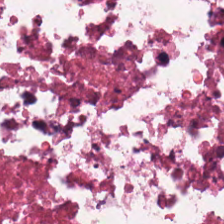Necrotic debris.
